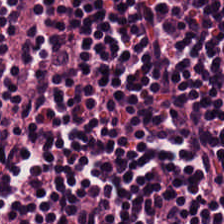Hematoxylin-and-eosin stained section.
Predominantly lymphocyte aggregate.
